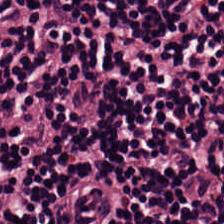H&E; 224×224 pixel tile; 20× equivalent magnification — Predominant tissue — lymphoid infiltrate.
